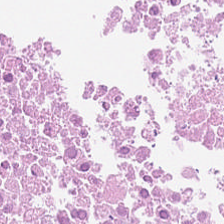0.5 µm/px; FFPE; hematoxylin-and-eosin stained section.
The tissue is cellular debris.
